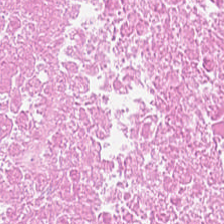H&E-stained tissue section. Brightfield microscopy. 0.5 microns per pixel — The predominant tissue is debris.
